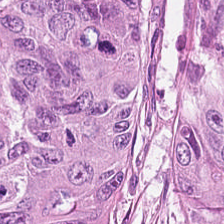H&E stain · WSI patch.
The tissue here is adenocarcinoma.
